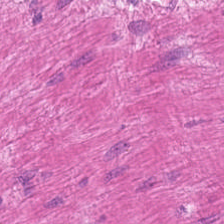Stain: hematoxylin and eosin.
Acquisition: WSI patch.
Classification: muscularis.
